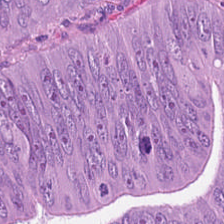FFPE tissue section; H&E-stained tissue section. Tissue = colorectal adenocarcinoma epithelium.
